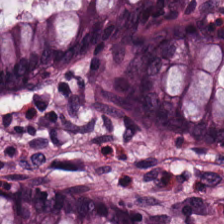The tissue here is benign colonic mucosa.
